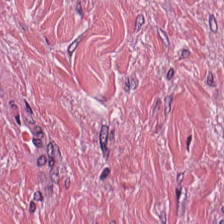H&E-stained tissue section.
Predominant tissue = desmoplastic stroma.
